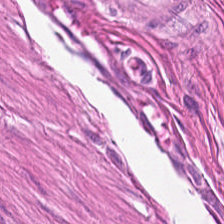H&E stain.
Tissue class: muscularis.
